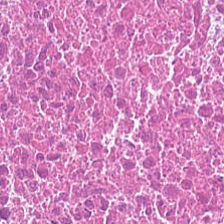Hematoxylin and eosin. Q: What tissue is shown?
A: The field shows debris.
